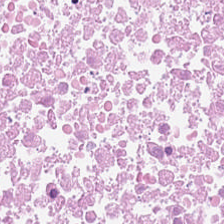Whole-slide-image patch; H&E-stained tissue section.
{"tissue_type": "debris"}
